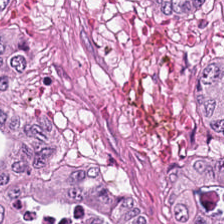Hematoxylin-and-eosin stained section. Brightfield.
Q: Classify this patch.
A: It is adenocarcinoma.
